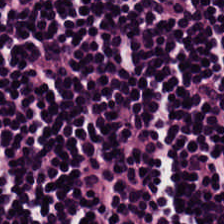Hematoxylin and eosin · brightfield · FFPE.
This patch shows lymphocyte aggregate.
